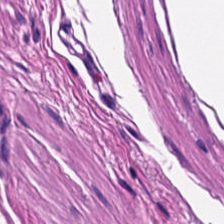Hematoxylin-and-eosin stained section · 224×224 pixel tile · FFPE tissue section.
Q: What type of tissue is this?
A: Smooth muscle.
